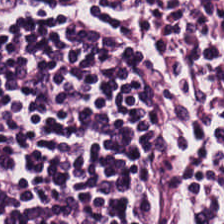Hematoxylin-and-eosin stained section. This field is lymphocyte aggregate.
